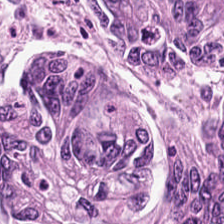H&E.
Predominant tissue = adenocarcinoma.
